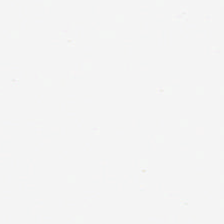0.5 µm/px; H&E-stained tissue section. Empty field — background.
